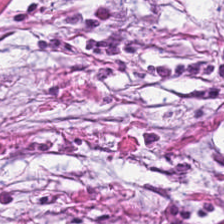{"tissue_type": "tumor-associated stroma"}
